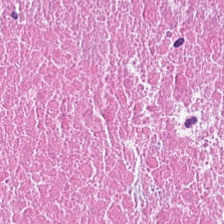Cellular debris.
